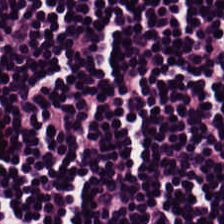H&E. The predominant tissue is lymphocytic infiltrate.
